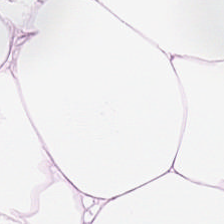0.5 µm/px · H&E · FFPE tissue section.
Showing adipocytes.
